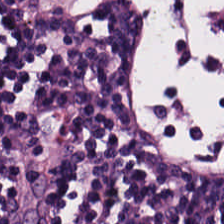H&E. Q: What does this patch show?
A: It is lymphocytic infiltrate.
